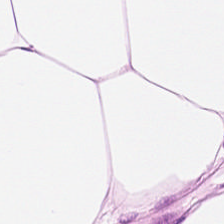0.5 µm per pixel. Hematoxylin-and-eosin stained section — Showing adipose tissue.
